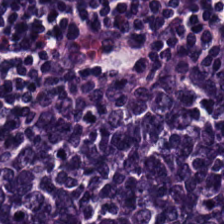H&E stain. Histology — lymphocyte aggregate.
